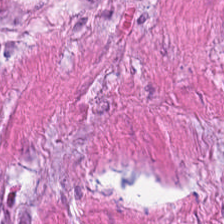Hematoxylin-and-eosin stained section — Smooth muscle.
